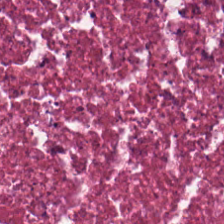Tissue — necrotic debris.
